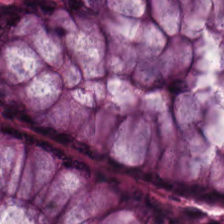Q: What is shown here?
A: It is normal colon mucosa.
